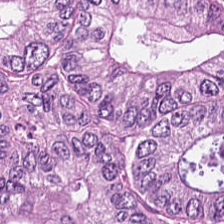20× equivalent magnification. Hematoxylin and eosin. FFPE tissue section — Q: What does this patch show?
A: This is malignant epithelium.
